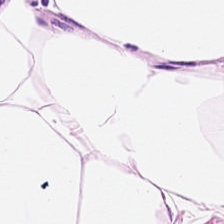Brightfield microscopy. H&E-stained tissue section. Predominantly fat tissue.
